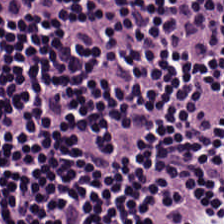0.5 µm per pixel. H&E stain. Tissue class: lymphoid infiltrate.
